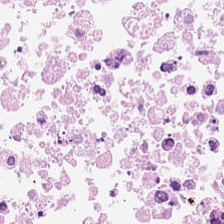Stain: H&E stain.
Predominant tissue: debris.
